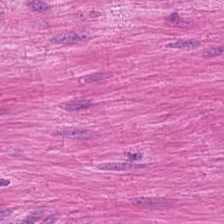Brightfield · 20× equivalent magnification · hematoxylin-and-eosin stained section. Smooth-muscle tissue.
